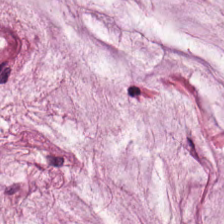Stain: H&E.
Tissue type: mucus.
